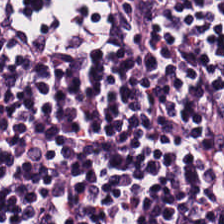H&E-stained tissue section; 224×224 px tile. Lymphocytes.
